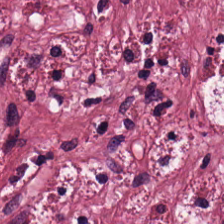H&E-stained tissue section · 0.5 µm/px.
Q: Identify the tissue.
A: It is cancer-associated stroma.
